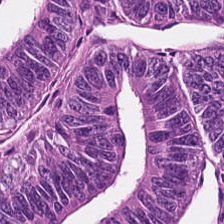Hematoxylin and eosin. Predominant tissue = malignant epithelium.
